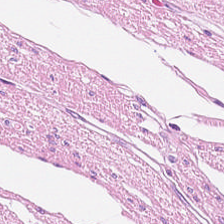Hematoxylin and eosin. The tissue type is smooth-muscle tissue.
